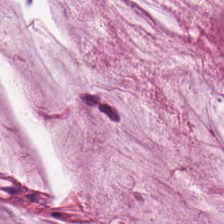Classification = mucin.
